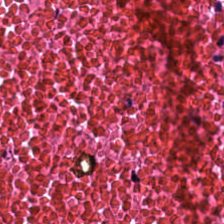The tissue here is cellular debris.
